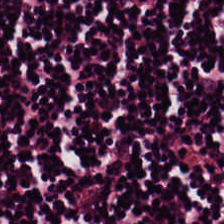Q: What is shown here?
A: This is lymphocytes.
